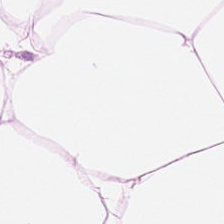Brightfield microscopy · H&E-stained tissue section · formalin-fixed paraffin-embedded section. This patch shows adipose tissue.
